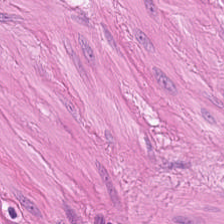Stain: hematoxylin and eosin.
Acquisition: whole-slide-image patch.
Classification: smooth muscle.
